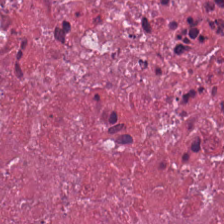H&E stain · FFPE tissue section — Predominant tissue — debris.
